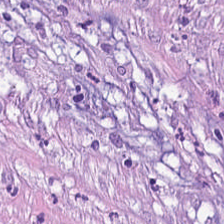Tissue = desmoplastic stroma.
